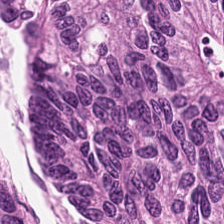Stain: H&E.
Predominant tissue: tumor epithelium.
